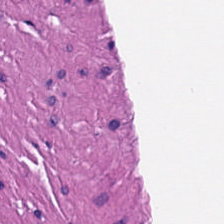Hematoxylin-and-eosin stained section. Whole-slide-image patch. Tissue: smooth-muscle tissue.
